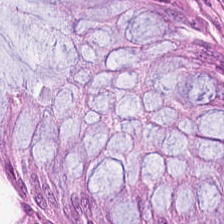Hematoxylin-and-eosin stained section — The tissue is non-neoplastic colon mucosa.
